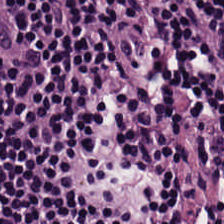H&E-stained tissue section.
Lymphocyte aggregate.
